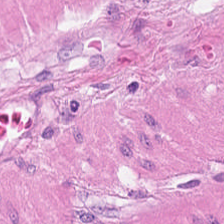Smooth muscle.
